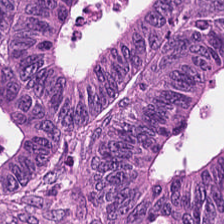This field is colorectal adenocarcinoma.
